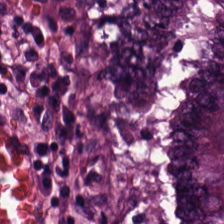Whole-slide-image patch · H&E — Q: What tissue is shown?
A: This is malignant epithelium.
